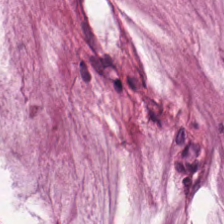H&E stain. Q: What is the predominant tissue type?
A: This is mucin.
